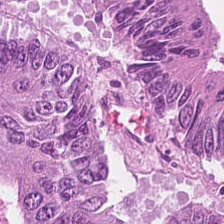Predominant tissue — adenocarcinoma.
